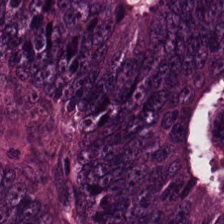H&E-stained tissue section; 0.5 µm per pixel. {"tissue_type": "adenocarcinoma"}
